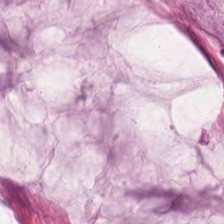H&E.
Tissue type — mucus.
